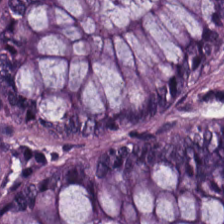Stain: H&E-stained tissue section.
Tissue type: normal colon mucosa.
